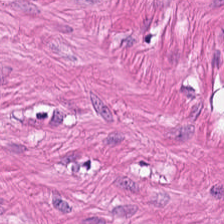H&E-stained tissue section — The tissue here is muscularis.
